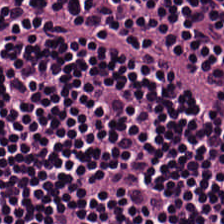FFPE tissue section. H&E-stained tissue section. Classification = lymphocyte aggregate.
